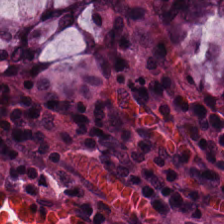Hematoxylin and eosin; WSI patch — Q: What is the predominant tissue type?
A: It is normal colon mucosa.
